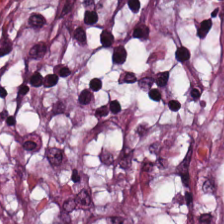Predominantly tumor-associated stroma.
